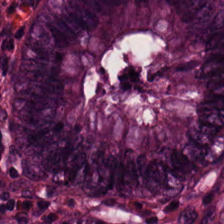Hematoxylin and eosin. 0.5 µm per pixel.
The tissue here is benign colonic mucosa.
